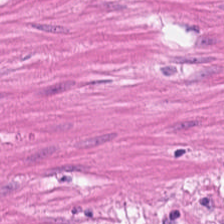Hematoxylin-and-eosin stained section.
Showing smooth-muscle tissue.
